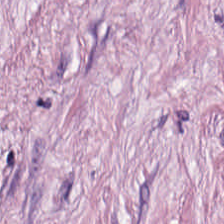Stain: H&E-stained tissue section.
Preparation: FFPE.
Resolution: 0.5 µm/px.
Tissue class: cancer-associated stroma.
